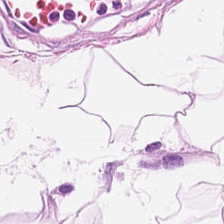Hematoxylin and eosin. Adipose tissue.
